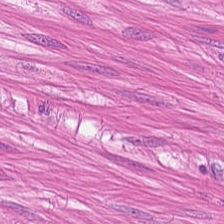{"tissue_type": "smooth muscle"}
